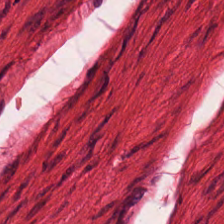20× equivalent magnification; hematoxylin-and-eosin stained section. {"tissue_type": "smooth muscle"}
